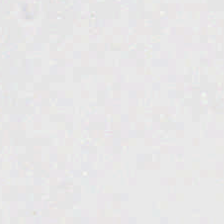Brightfield microscopy · 224×224 px tile · H&E — Content = empty background.
